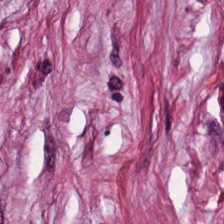224×224 pixel tile; 0.5 µm/px; H&E stain — The tissue here is desmoplastic stroma.
